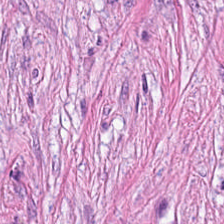The tissue class is tumor-associated stroma.
